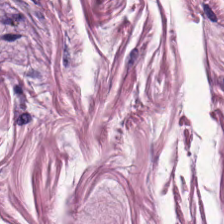Hematoxylin-and-eosin stained section — Predominantly muscularis.
